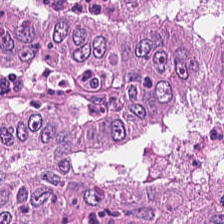This field is tumor epithelium.
